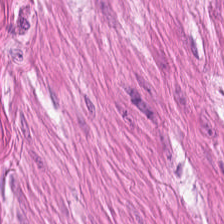Hematoxylin and eosin; whole-slide-image patch.
Impression — smooth muscle.
